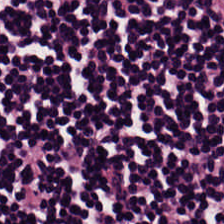Hematoxylin-and-eosin stained section — Q: What type of tissue is this?
A: It is lymphocyte aggregate.
